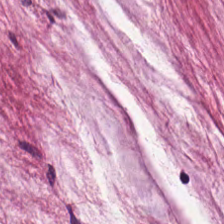Hematoxylin and eosin — Classification = mucus.
